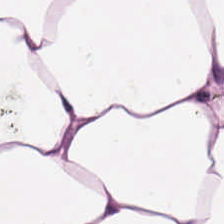Hematoxylin and eosin; 0.5 µm/px.
{"tissue_type": "adipose tissue"}
